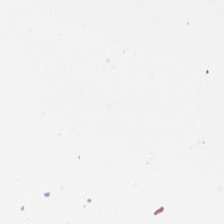{"content": "empty background"}
